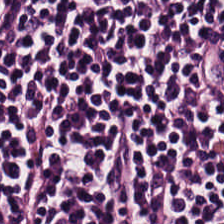H&E-stained tissue section — {"tissue_type": "lymphocytes"}
